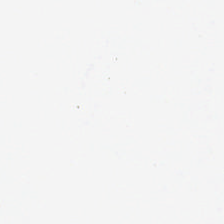Stain: hematoxylin and eosin.
Classification: no tissue.
